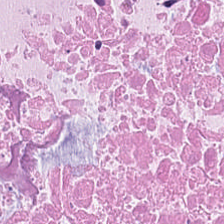224×224 pixel tile; hematoxylin-and-eosin stained section. Showing debris.
